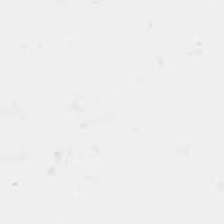Stain: hematoxylin and eosin.
Field content: empty background.
